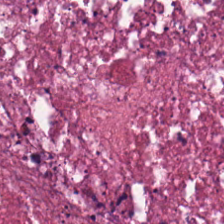H&E-stained tissue section showing cellular debris.
